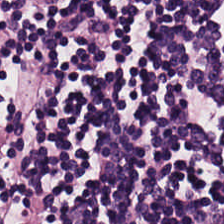0.5 µm/px. H&E. Showing lymphocyte aggregate.
